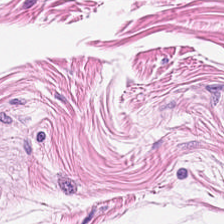0.5 µm per pixel · H&E stain · 224×224 px patch — Q: What tissue type is shown here?
A: Muscularis.
